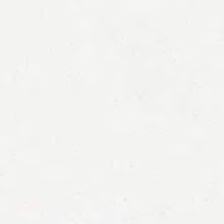H&E stain — Histology → background.
